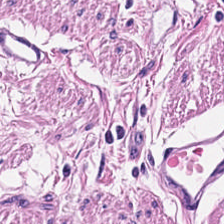H&E; brightfield — Predominant tissue = muscularis.
